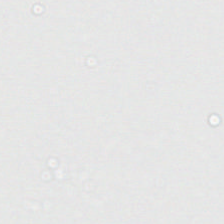FFPE tissue section · H&E-stained tissue section · brightfield. This field is background (no tissue).
